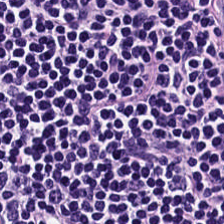Hematoxylin and eosin.
The predominant tissue is lymphocytic infiltrate.
